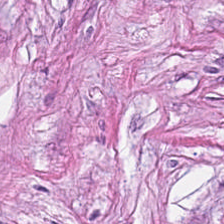0.5 µm/px. H&E-stained tissue section — The tissue here is tumor stroma.
